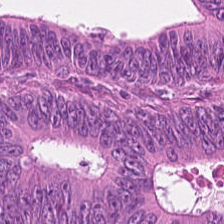Hematoxylin and eosin — The tissue here is tumor epithelium.
